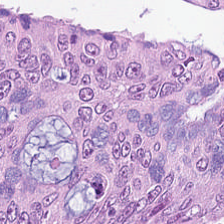H&E-stained tissue section. The predominant tissue is colorectal adenocarcinoma epithelium.
